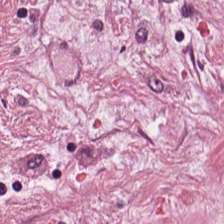Hematoxylin and eosin; FFPE.
Tissue: desmoplastic stroma.
